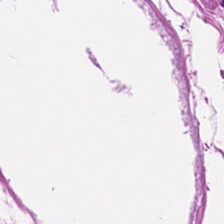0.5 µm per pixel; H&E-stained tissue section — This patch shows smooth-muscle tissue.
